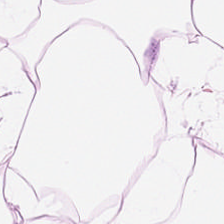FFPE tissue section; brightfield microscopy; hematoxylin and eosin. Q: What does this patch show?
A: It is adipocytes.
